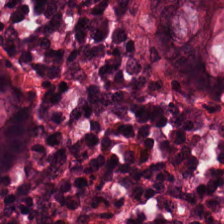224×224 pixel tile; hematoxylin-and-eosin stained section; brightfield microscopy — The tissue here is normal colon mucosa.
